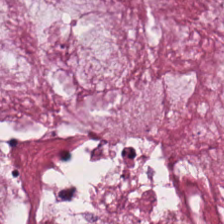Classification — mucin.
